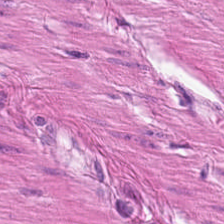Hematoxylin and eosin · FFPE.
Showing smooth muscle.
